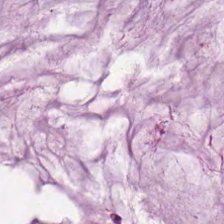Tissue class — extracellular mucin.
